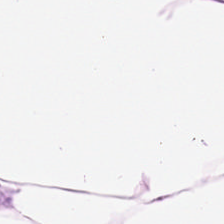H&E-stained section; the field shows adipose tissue.
